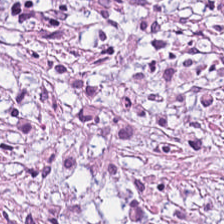H&E — Desmoplastic stroma.
